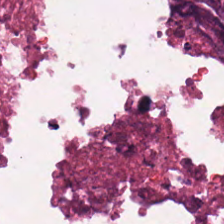Q: Classify this patch.
A: It is cellular debris.
